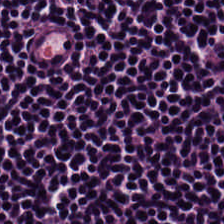H&E · FFPE tissue section · 224×224 px patch.
Predominant tissue = lymphocytes.
